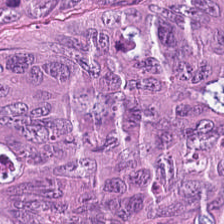Q: What type of tissue is this?
A: The field shows colorectal adenocarcinoma epithelium.
